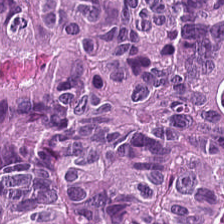The tissue here is colorectal adenocarcinoma.
